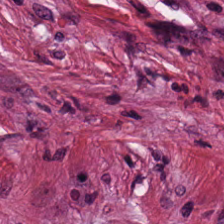Tissue class: desmoplastic stroma.
